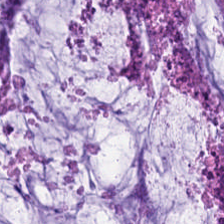224×224 px patch. FFPE tissue section. H&E.
Q: What type of tissue is this?
A: Extracellular mucin.
